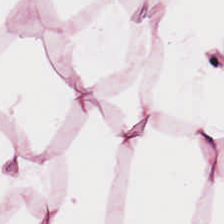H&E. 0.5 µm/px.
The tissue type is adipose tissue.
